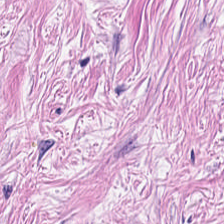Hematoxylin and eosin · 0.5 µm/px · brightfield — Q: What does this patch show?
A: Cancer-associated stroma.
